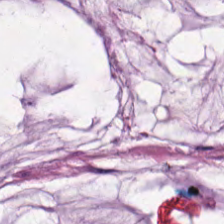H&E; 224×224 px tile. Predominant tissue — extracellular mucin.
